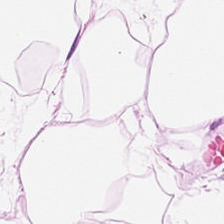H&E stain; formalin-fixed paraffin-embedded section; 0.5 microns per pixel. The tissue here is adipose.
